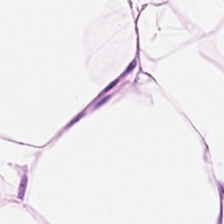Stain: hematoxylin-and-eosin stained section.
Acquisition: WSI patch.
Resolution: 0.5 microns per pixel.
Predominant tissue: adipocytes.
